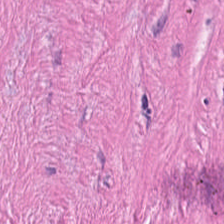H&E-stained tissue section — Predominantly cancer-associated stroma.
